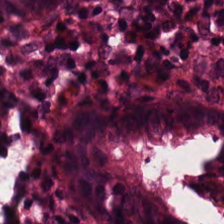H&E-stained tissue section showing normal colonic mucosa.
